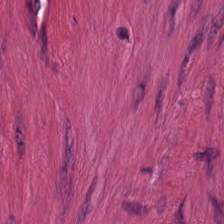Impression — muscularis.
